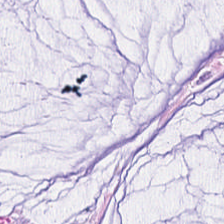Tissue = mucus.
